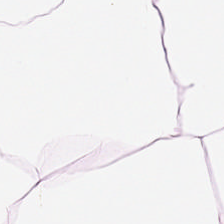H&E-stained tissue section.
Impression → adipose tissue.
